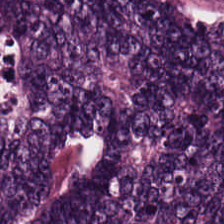Hematoxylin-and-eosin stained section; 0.5 µm per pixel.
The tissue class is adenocarcinoma.
